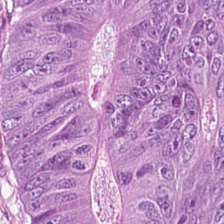Classification: tumor epithelium.
